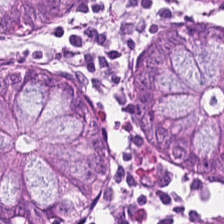Tissue type — non-neoplastic colon mucosa.
